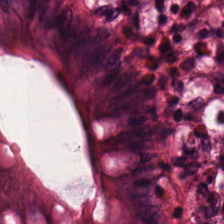Tissue type — normal colonic mucosa.
